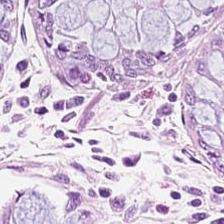Hematoxylin-and-eosin stained section. 0.5 µm per pixel. Whole-slide-image patch. Tissue: non-neoplastic colon mucosa.
